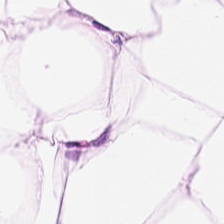H&E. 20× equivalent magnification — {"tissue_type": "adipocytes"}
